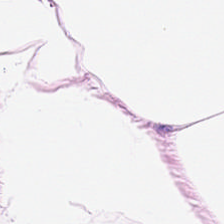H&E stain — The tissue is fat tissue.
